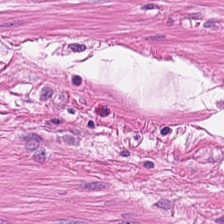H&E-stained section; the field shows smooth muscle.
